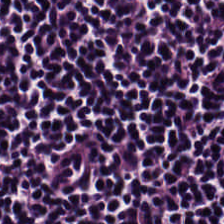Classification — lymphocytes.
